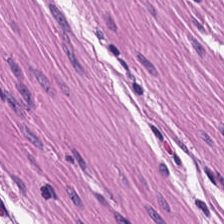Tissue = smooth-muscle tissue.
